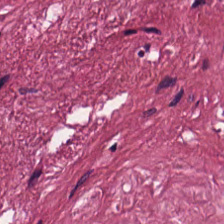0.5 µm/px · H&E — Q: What is the predominant tissue type?
A: Cancer-associated stroma.
